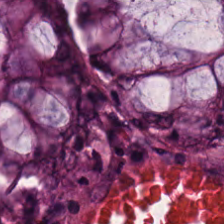Hematoxylin and eosin — Classification: benign colonic mucosa.
